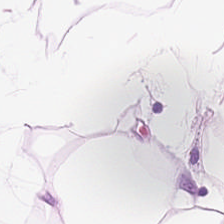Stain: H&E-stained tissue section.
Predominant tissue: adipocytes.
